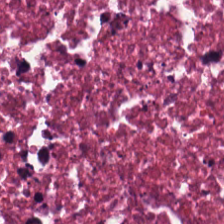Predominantly cellular debris.
